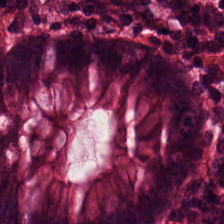Hematoxylin-and-eosin section: benign colonic mucosa.
